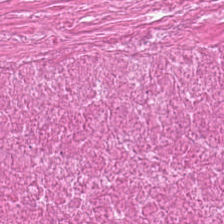Whole-slide-image patch; H&E stain; 0.5 microns per pixel.
Q: What type of tissue is this?
A: It is necrotic debris.
